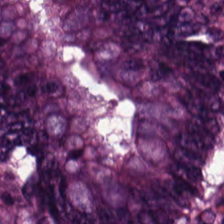224×224 px patch · H&E-stained tissue section. {"tissue_type": "malignant epithelium"}
